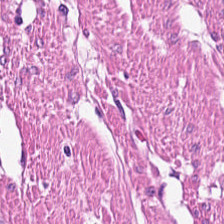Hematoxylin and eosin; 20× equivalent magnification.
Showing muscularis.
